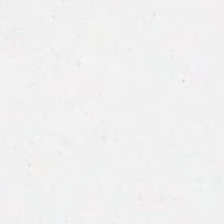H&E. No tissue present; background only.
